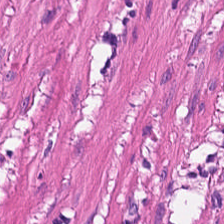Q: What type of tissue is this?
A: Smooth muscle.
